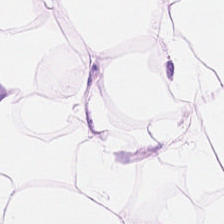Classification: adipose tissue.
